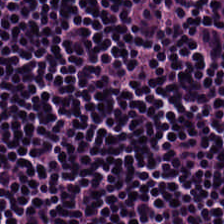H&E. Formalin-fixed paraffin-embedded section. 224×224 px patch — This patch shows lymphocytes.
